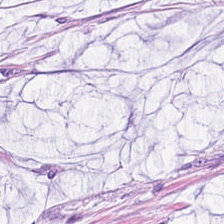Stain: H&E-stained tissue section.
Acquisition: whole-slide-image patch.
Predominant tissue: extracellular mucin.
